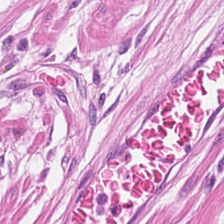H&E stain.
Showing muscularis.
